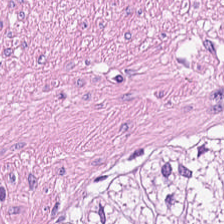This field is smooth muscle.
